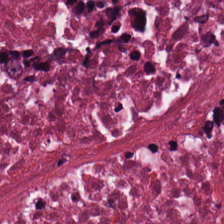Tissue — cellular debris.
